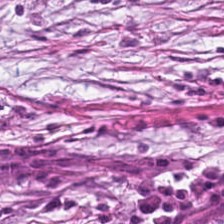Finding → tumor-associated stroma.
